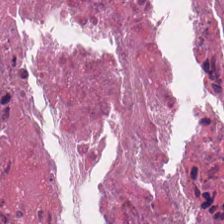H&E stain. 224×224 pixel tile — {"tissue_type": "cellular debris"}
